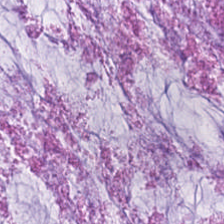Predominantly extracellular mucin.
